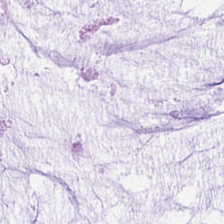224×224 px patch · hematoxylin and eosin. This patch shows mucus.
